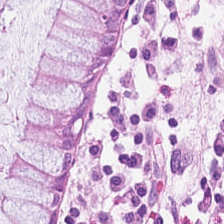H&E-stained section; the field shows normal colonic mucosa.
